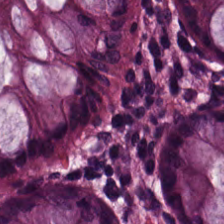WSI patch. H&E-stained tissue section. Histology → normal colonic mucosa.
